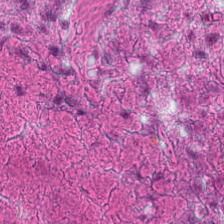Hematoxylin and eosin — Histology → debris.
